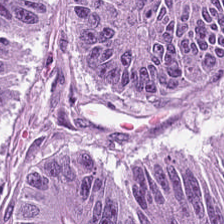0.5 µm per pixel · H&E · formalin-fixed paraffin-embedded section — Q: What type of tissue is this?
A: This is tumor epithelium.
